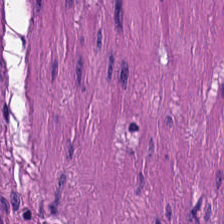H&E-stained tissue section · brightfield microscopy · 224×224 px patch.
Smooth muscle.
